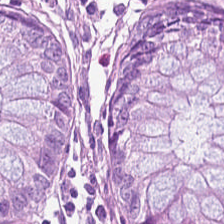Tissue = normal colonic mucosa.
